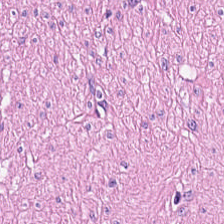H&E-stained section; the field shows muscularis.
